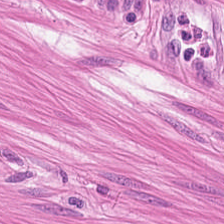0.5 µm/px. Hematoxylin and eosin. Q: Classify this patch.
A: Muscularis.
